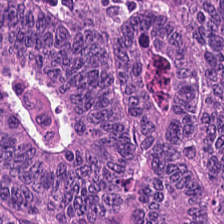H&E-stained tissue section showing colorectal adenocarcinoma epithelium.
